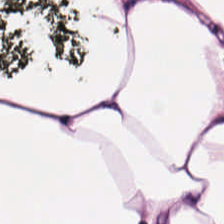FFPE; H&E-stained tissue section.
The tissue class is adipocytes.
